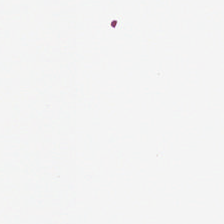H&E. This patch shows no tissue.
